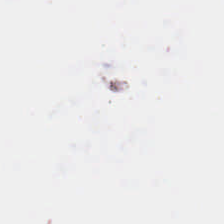20× equivalent magnification · hematoxylin-and-eosin stained section · formalin-fixed paraffin-embedded section. Classification — empty background.
